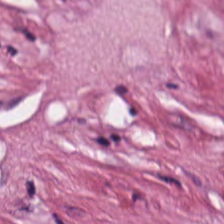H&E. Brightfield microscopy. 224×224 px tile.
Histology → tumor stroma.
